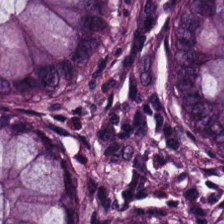Hematoxylin and eosin — Q: What is the predominant tissue type?
A: This is normal colon mucosa.
